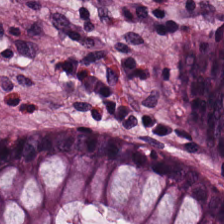H&E.
Q: What does this patch show?
A: It is normal colon mucosa.
